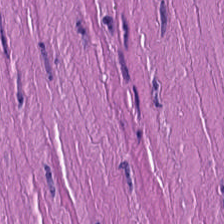H&E patch showing smooth muscle.
